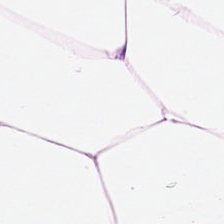H&E. Impression → adipose.
